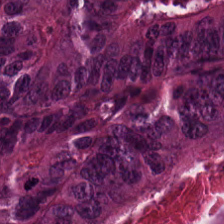H&E · FFPE tissue section. The tissue here is tumor epithelium.
